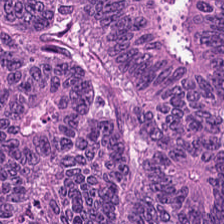H&E stain. Classification — colorectal adenocarcinoma epithelium.
